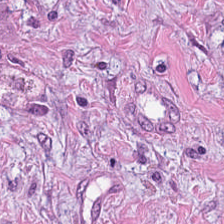Stain: H&E-stained tissue section.
Tile size: 224×224 px tile.
Resolution: 20× equivalent magnification.
Tissue: desmoplastic stroma.
